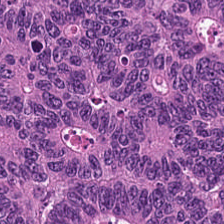H&E. Impression — malignant epithelium.
